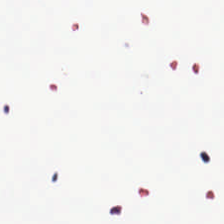0.5 µm per pixel · hematoxylin-and-eosin stained section.
This patch shows background (no tissue).
